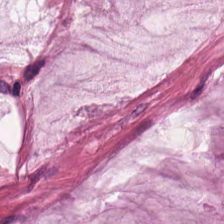Finding — mucin.
